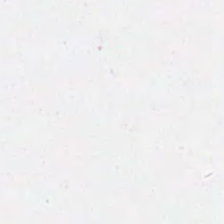224×224 pixel tile. H&E-stained tissue section. FFPE tissue section — Q: What is shown in this field?
A: Background (no tissue).
